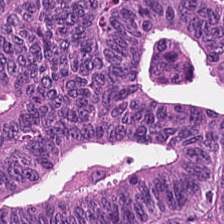The predominant tissue is tumor epithelium.
